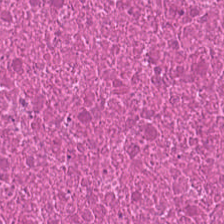H&E patch showing debris.
